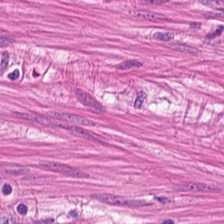The predominant tissue is muscularis.
